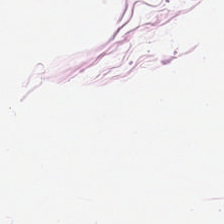H&E — Q: What does this patch show?
A: It is adipocytes.
